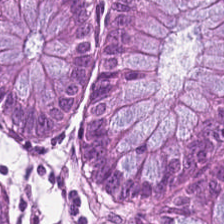FFPE. H&E-stained tissue section — Classification = non-neoplastic colon mucosa.
